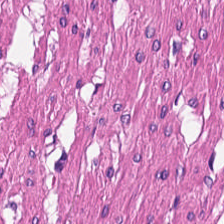H&E-stained tissue section — This field is smooth muscle.
